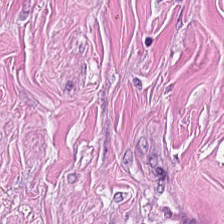Hematoxylin and eosin · brightfield microscopy — Showing cancer-associated stroma.
